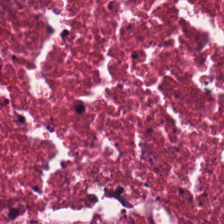FFPE tissue section. Hematoxylin and eosin. 224×224 pixel tile — Tissue class = necrotic debris.
